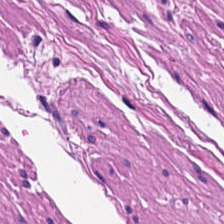H&E stain. Tissue class — smooth muscle.
